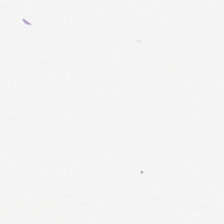Q: What is shown in this field?
A: The field shows empty background.
